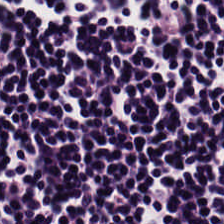Stain: H&E stain.
Tissue: lymphoid infiltrate.
